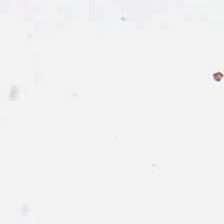Q: Classify this patch.
A: This is no tissue.
